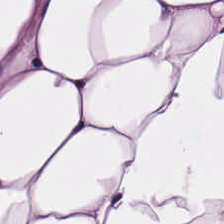H&E stain · 0.5 µm/px · 224×224 px tile. This field is adipose.
